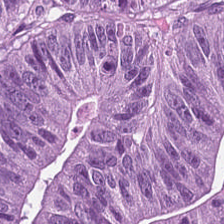H&E stain.
Tissue = colorectal adenocarcinoma epithelium.
